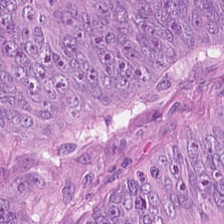H&E-stained tissue section — Malignant epithelium.
